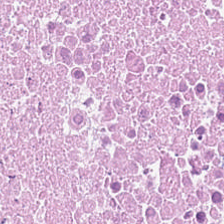Predominant tissue — cellular debris.
